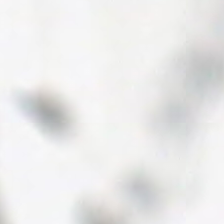No tissue.
